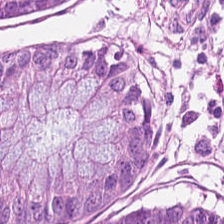Non-neoplastic colon mucosa.
